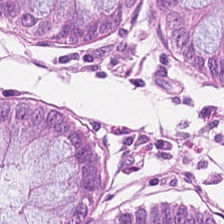Hematoxylin and eosin. WSI patch. Tissue type: normal colon mucosa.
